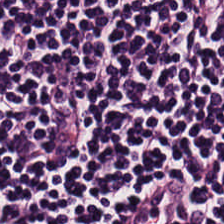Tissue type — lymphocyte aggregate.
